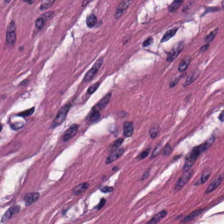H&E stain; 0.5 microns per pixel. Classification: smooth muscle.
